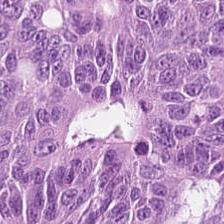H&E stain. This patch shows adenocarcinoma.
